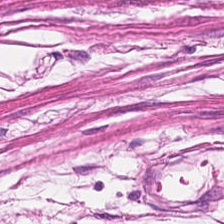Hematoxylin and eosin — The tissue is smooth-muscle tissue.
